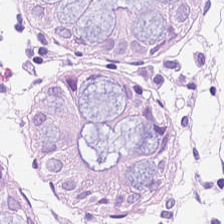H&E · brightfield microscopy.
Showing benign colonic mucosa.
